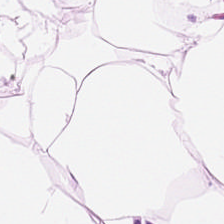Hematoxylin and eosin. Q: What is shown in this field?
A: Fat tissue.
